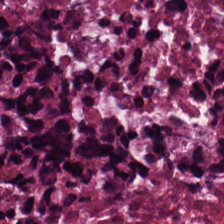H&E-stained tissue section; 0.5 µm/px — Finding — debris.
